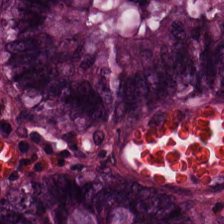H&E.
Tissue — non-neoplastic colon mucosa.
